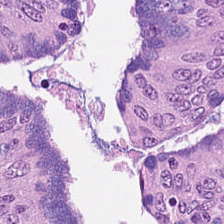The tissue here is colorectal adenocarcinoma epithelium.
